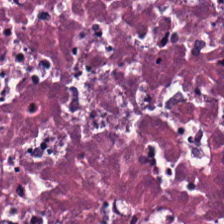H&E.
Predominantly debris.
